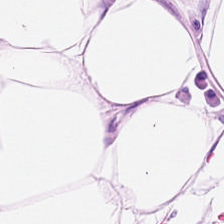Hematoxylin-and-eosin stained section.
Showing adipose tissue.
